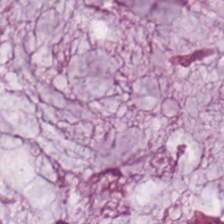The tissue class is extracellular mucin.
